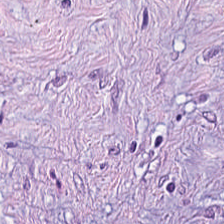H&E stain — Impression — tumor stroma.
